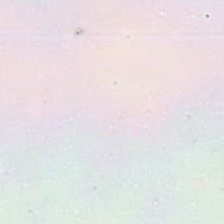0.5 µm per pixel · hematoxylin and eosin · 224×224 px tile — Q: What does this patch show?
A: The field shows no tissue.
